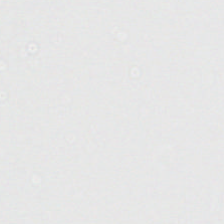Brightfield microscopy; hematoxylin-and-eosin stained section.
Empty field — empty background.
